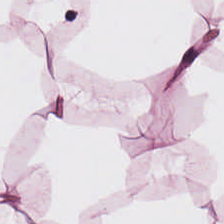H&E stain.
This field is adipocytes.
